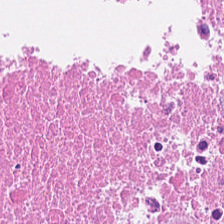H&E-stained tissue section — Histology — necrotic debris.
